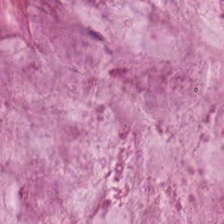Tissue type = mucus.
